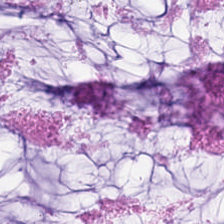Hematoxylin-and-eosin stained section — {"tissue_type": "mucus"}
